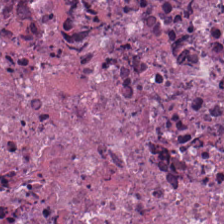H&E. Impression — debris.
